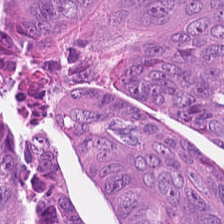Hematoxylin-and-eosin stained section; formalin-fixed paraffin-embedded section; 0.5 µm per pixel.
Colorectal adenocarcinoma.
